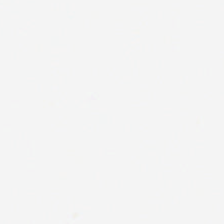H&E-stained tissue section. 0.5 µm/px — Content — empty background.
